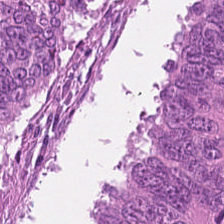The predominant tissue is malignant epithelium.
